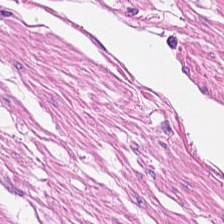H&E.
This field is smooth muscle.
